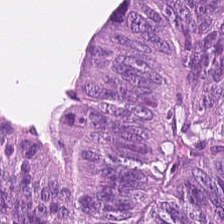Impression → malignant epithelium.
